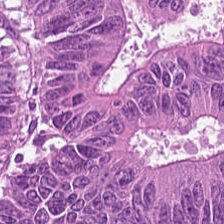Hematoxylin and eosin. Showing adenocarcinoma.
